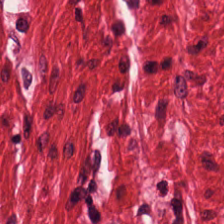Hematoxylin-and-eosin stained section — This patch shows muscularis.
